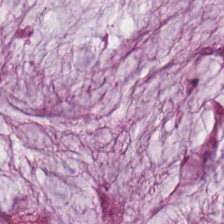H&E.
The tissue type is mucin.
